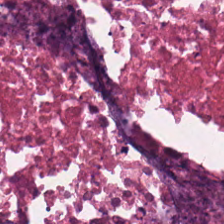Stain: hematoxylin and eosin.
Predominant tissue: debris.
